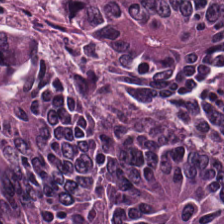The predominant tissue is tumor epithelium.
